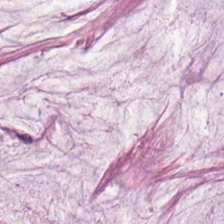H&E — The tissue here is mucin.
